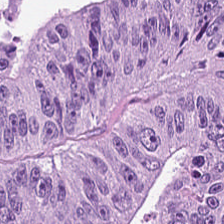Finding — tumor epithelium.
